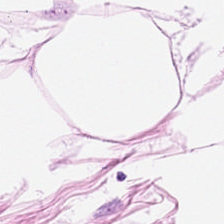Stain: H&E.
Resolution: 20× equivalent magnification.
Acquisition: WSI patch.
Predominant tissue: adipose tissue.
